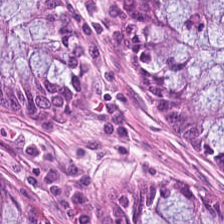224×224 px patch · hematoxylin and eosin.
Classification: benign colonic mucosa.
